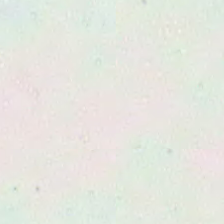This patch shows background.
